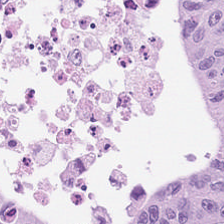Formalin-fixed paraffin-embedded section · 224×224 pixel tile · H&E stain.
This field is tumor epithelium.
